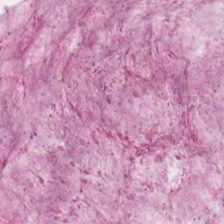Hematoxylin-and-eosin stained section.
Q: What is the predominant tissue type?
A: This is mucus.
